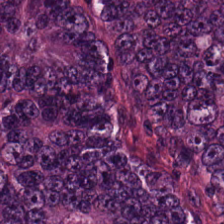H&E. Impression — adenocarcinoma.
